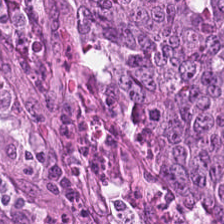H&E-stained tissue section. Tissue: colorectal adenocarcinoma.
